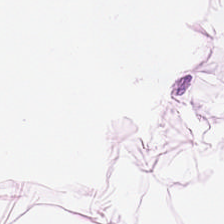Hematoxylin and eosin; 224×224 pixel tile; formalin-fixed paraffin-embedded section — Histology — adipose.
